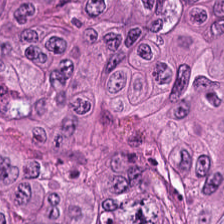H&E stain.
The tissue here is colorectal adenocarcinoma.
